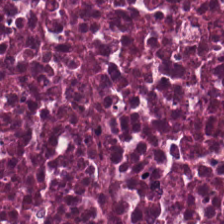Cellular debris.
